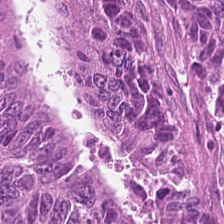0.5 µm per pixel; H&E stain — Showing tumor epithelium.
